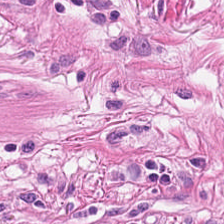0.5 µm per pixel. H&E stain. Histology → muscularis.
